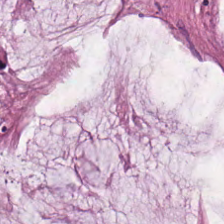This field is extracellular mucin.
